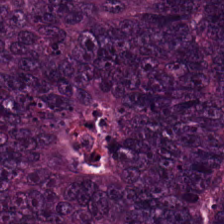Hematoxylin-and-eosin stained section; brightfield. Colorectal adenocarcinoma.
